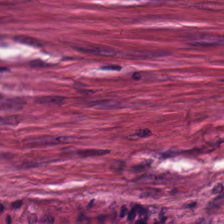This field is desmoplastic stroma.
